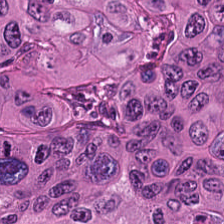Brightfield; H&E.
Finding — tumor epithelium.
